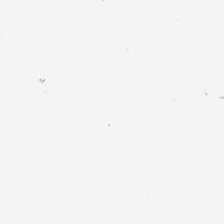H&E. Brightfield microscopy. This patch shows background.
